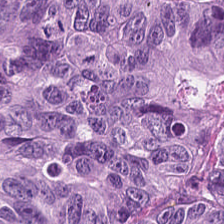Stain: H&E.
Classification: colorectal adenocarcinoma.
